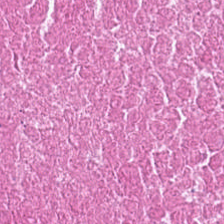Formalin-fixed paraffin-embedded section. H&E-stained tissue section — Impression → necrotic debris.
